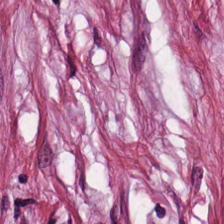Stain: H&E.
Tissue: cancer-associated stroma.
